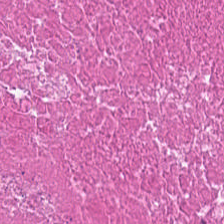Stain: hematoxylin and eosin.
Tissue class: debris.
